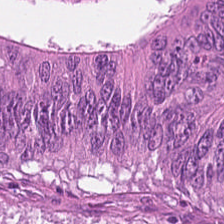The tissue type is malignant epithelium.
